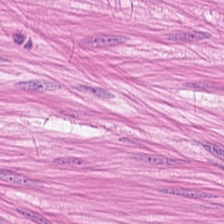H&E-stained tissue section. Tissue type = smooth muscle.
